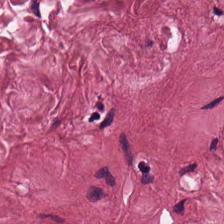{"tissue_type": "tumor stroma"}
